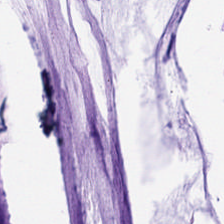Stain: H&E-stained tissue section.
Tile size: 224×224 pixel tile.
Tissue type: mucus.
